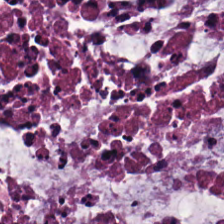H&E stain — This patch shows mucin.
